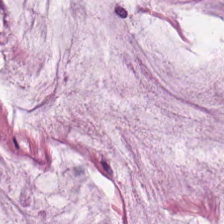0.5 µm per pixel; H&E.
Histology → extracellular mucin.
